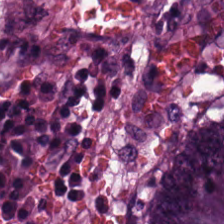H&E — {"tissue_type": "malignant epithelium"}
